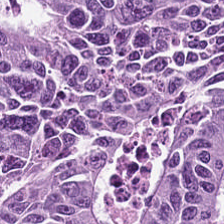H&E stain. The tissue here is tumor epithelium.
